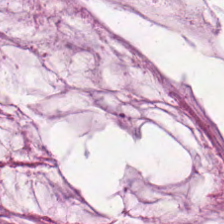H&E-stained tissue section. Finding → extracellular mucin.
